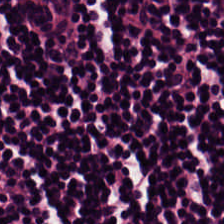Hematoxylin-and-eosin stained section — {"tissue_type": "lymphocytes"}
